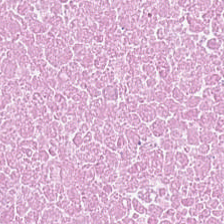Stain: H&E stain.
Resolution: 20× equivalent magnification.
Acquisition: WSI patch.
Tissue type: cellular debris.
